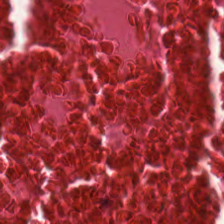H&E stain. This field is debris.
